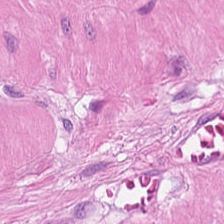Hematoxylin-and-eosin stained section. Finding → muscularis.
